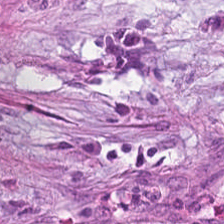The classification is desmoplastic stroma.
